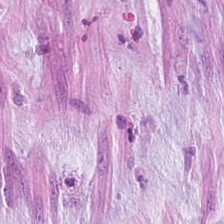Showing mucus.
